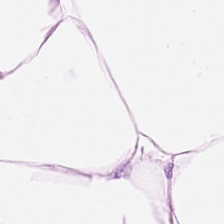Stain: hematoxylin-and-eosin stained section.
Tissue type: adipose.
